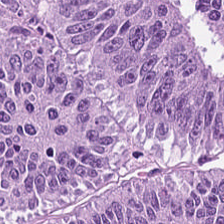H&E stain; 224×224 px patch — This field is malignant epithelium.
